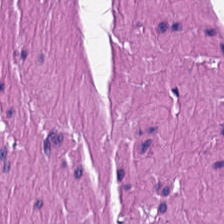Stain: H&E.
Tissue type: muscularis.
